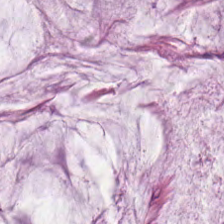Hematoxylin-and-eosin stained section. FFPE tissue section — Tissue type = mucin.
